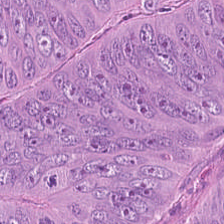The predominant tissue is colorectal adenocarcinoma.
